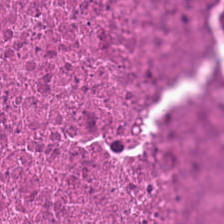FFPE; hematoxylin-and-eosin stained section. Q: Identify the tissue.
A: It is cellular debris.
